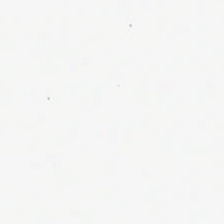H&E stain; whole-slide-image patch.
Background (no tissue).
